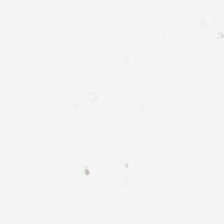H&E-stained tissue section — Field content: background (no tissue).
